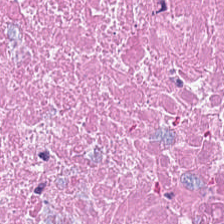H&E-stained section; the field shows cellular debris.
